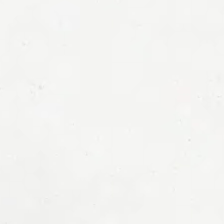Hematoxylin-and-eosin stained section. The classification is background.
